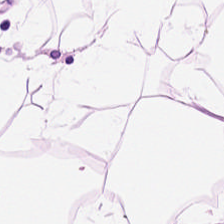FFPE tissue section; H&E-stained tissue section — Q: What is shown here?
A: It is adipocytes.
